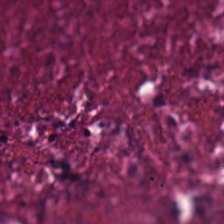0.5 µm per pixel · H&E stain. This field is cellular debris.
